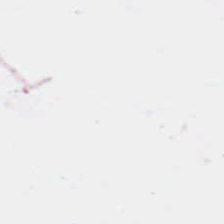Finding — background (no tissue).
